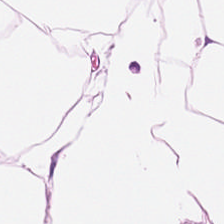Stain: hematoxylin and eosin.
Classification: adipose tissue.
